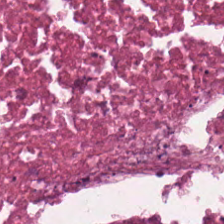Stain: hematoxylin-and-eosin stained section.
Tissue class: cellular debris.
